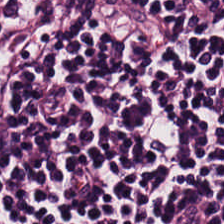FFPE tissue section. 0.5 µm per pixel. H&E. Impression → lymphocytic infiltrate.
